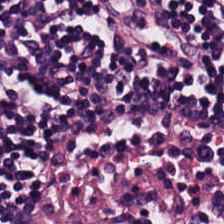H&E stain. 224×224 px patch. 0.5 µm per pixel.
Lymphoid infiltrate.
